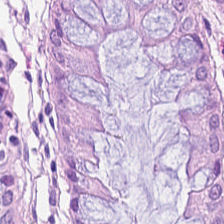FFPE tissue section; WSI patch; hematoxylin and eosin.
The tissue here is benign colonic mucosa.
